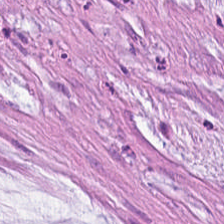H&E-stained tissue section — The tissue here is mucin.
